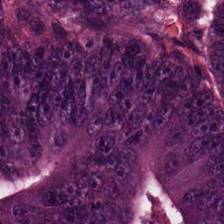H&E stain — {"tissue_type": "colorectal adenocarcinoma"}
